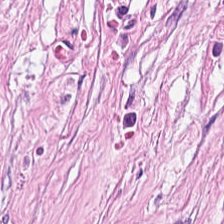FFPE tissue section. WSI patch. H&E stain.
This field is tumor-associated stroma.
